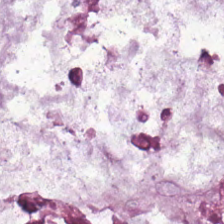H&E — Tissue class = mucin.
